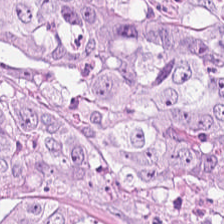Stain: H&E.
Tissue class: colorectal adenocarcinoma epithelium.
